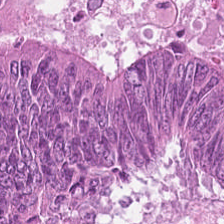Hematoxylin-and-eosin stained section — Finding → colorectal adenocarcinoma.
